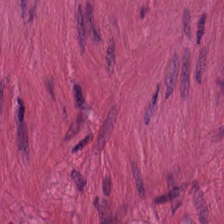This field is smooth-muscle tissue.
